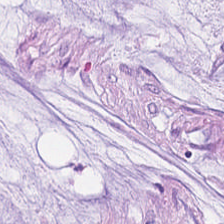Hematoxylin-and-eosin stained section — This field is mucin.
